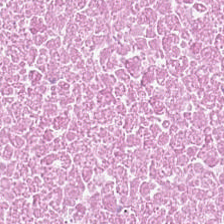Tissue: debris.
